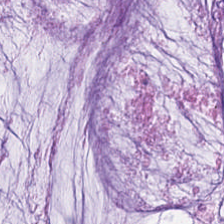H&E stain. Tissue class: mucus.
